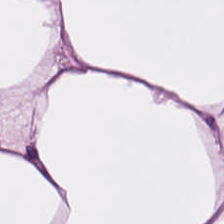H&E. Predominant tissue = adipose tissue.
